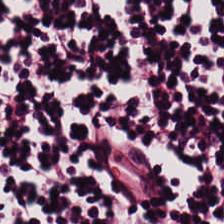The tissue class is lymphoid infiltrate.
